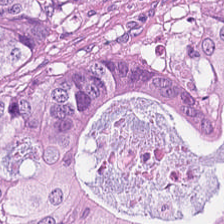Hematoxylin and eosin; 224×224 px patch — This field is adenocarcinoma.
